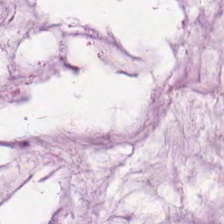H&E-stained section; the field shows mucus.
